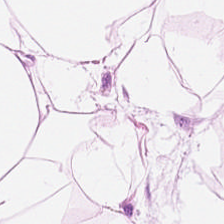Stain: H&E stain.
Predominant tissue: adipose tissue.
